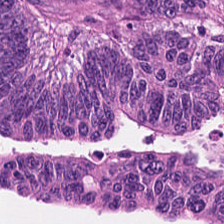{"tissue_type": "colorectal adenocarcinoma epithelium"}
